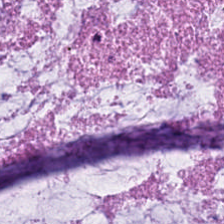Q: What is shown here?
A: The field shows extracellular mucin.
